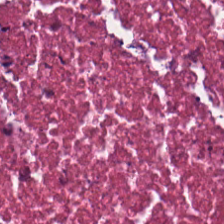FFPE; H&E; whole-slide-image patch.
The classification is necrotic debris.
